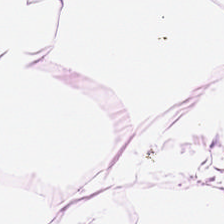Hematoxylin-and-eosin stained section.
Histology → fat tissue.
